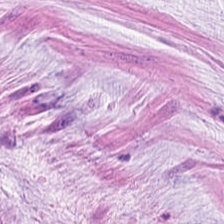H&E-stained tissue section. 224×224 px tile — Extracellular mucin.
